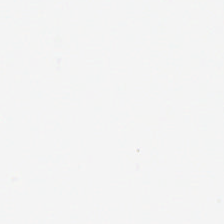Q: What is shown in this field?
A: Empty background.
